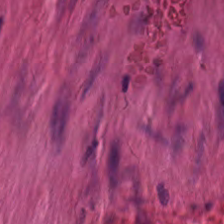Brightfield; 224×224 pixel tile; H&E. This patch shows smooth muscle.
